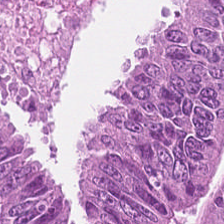Hematoxylin-and-eosin stained section · FFPE. Impression — malignant epithelium.
